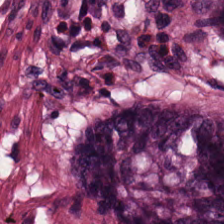H&E. The predominant tissue is non-neoplastic colon mucosa.
